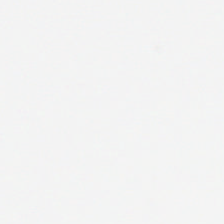H&E stain. Finding → no tissue.
